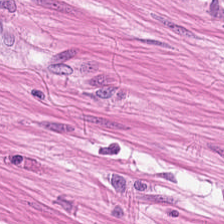Tissue: smooth muscle.
